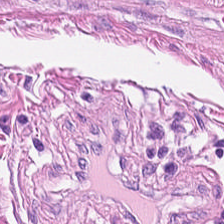Finding → muscularis.
